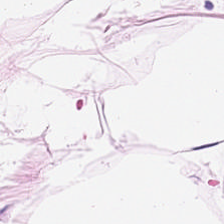H&E-stained tissue section.
The predominant tissue is adipocytes.
